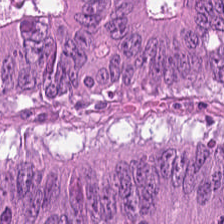H&E-stained section; the field shows colorectal adenocarcinoma epithelium.
